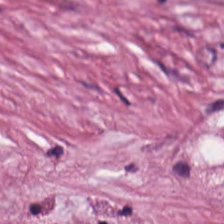Hematoxylin and eosin; 224×224 px patch.
The predominant tissue is desmoplastic stroma.
